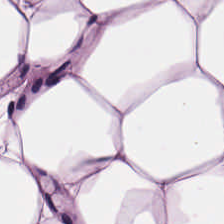The predominant tissue is adipose tissue.
